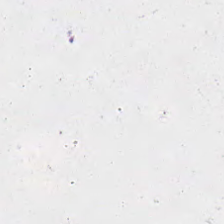H&E. {"content": "no tissue"}
